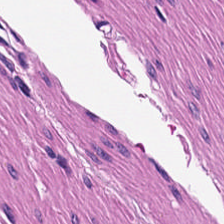H&E stain — Tissue class = muscularis.
